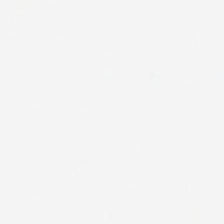Q: What does this patch show?
A: This is empty background.
